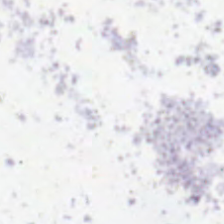H&E — Background — no tissue in this field.
